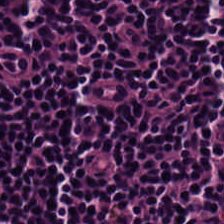{"tissue_type": "lymphocytic infiltrate"}
